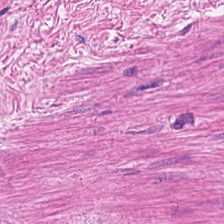Hematoxylin-and-eosin stained section.
Tissue type = smooth-muscle tissue.
